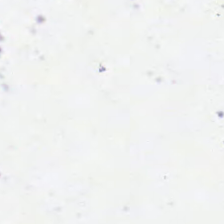H&E-stained tissue section; FFPE — This field is background (no tissue).
